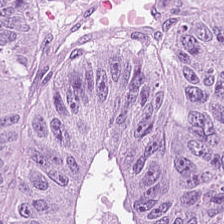224×224 pixel tile; H&E stain — The tissue type is colorectal adenocarcinoma epithelium.
